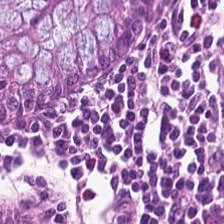H&E stain; 0.5 microns per pixel; 224×224 px tile.
The predominant tissue is benign colonic mucosa.
